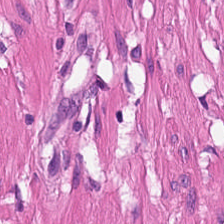0.5 microns per pixel. H&E stain. Finding → smooth muscle.
